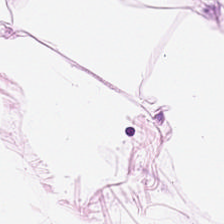H&E — Tissue type: adipose.
